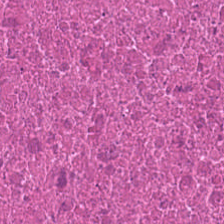H&E.
Q: What is shown here?
A: This is debris.
